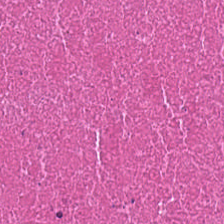Stain: H&E-stained tissue section.
Resolution: 0.5 µm/px.
Tissue: debris.
